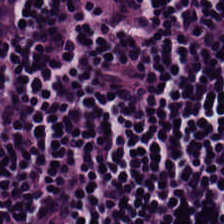H&E — Classification: lymphocytes.
